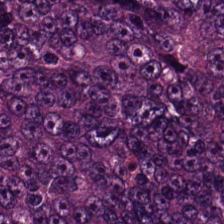Tissue type — tumor epithelium.
